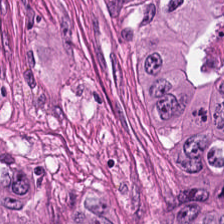H&E-stained tissue section.
Tissue class — adenocarcinoma.
